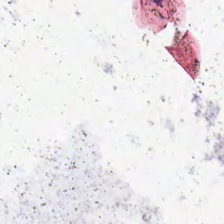No tissue present; background only.
